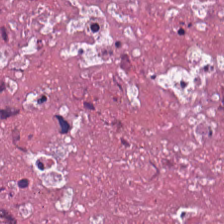H&E stain. Cellular debris.
